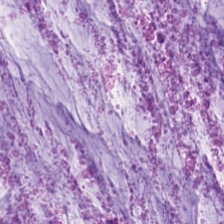Stain: H&E.
Predominant tissue: mucin.
